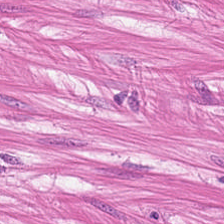H&E-stained section; the field shows smooth muscle.
